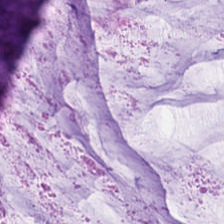0.5 microns per pixel; H&E. Tissue class: mucin.
